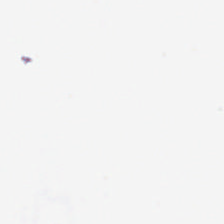Hematoxylin and eosin · 20× equivalent magnification.
The field content is no tissue.
